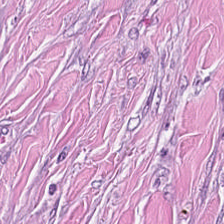H&E-stained tissue section — Q: What does this patch show?
A: The field shows desmoplastic stroma.
